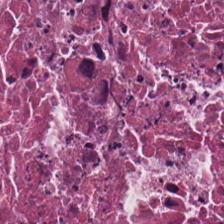Q: What tissue is shown?
A: The field shows debris.
